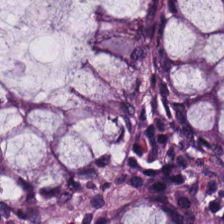Q: What tissue is shown?
A: This is non-neoplastic colon mucosa.
